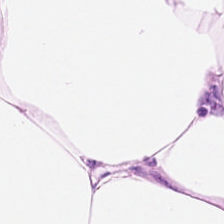{"tissue_type": "fat tissue"}
